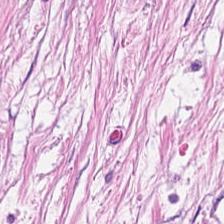Predominant tissue — tumor stroma.
